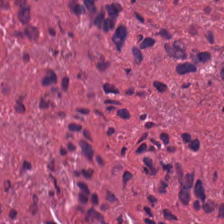FFPE; H&E stain. Q: What type of tissue is this?
A: It is necrotic debris.
